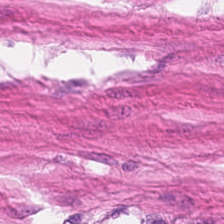H&E — {"tissue_type": "smooth-muscle tissue"}
